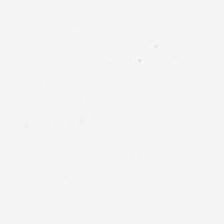H&E. FFPE tissue section. 0.5 microns per pixel — This patch shows empty background.
